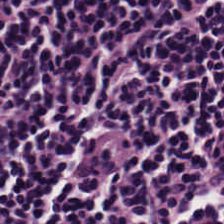H&E — lymphoid infiltrate.
